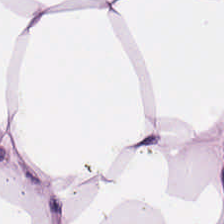Stain: hematoxylin-and-eosin stained section.
Resolution: 0.5 microns per pixel.
Classification: adipose.
